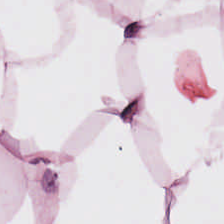Tissue class: adipose.
